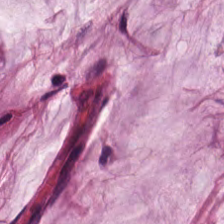H&E · 0.5 µm per pixel · 224×224 pixel tile. The tissue is extracellular mucin.
